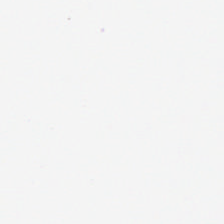H&E-stained tissue section. Brightfield microscopy. Content — no tissue.
